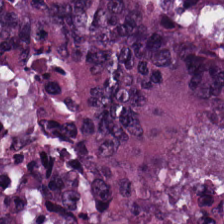Hematoxylin-and-eosin stained section. Q: What tissue type is shown here?
A: It is adenocarcinoma.
